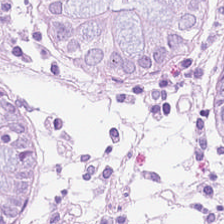Tissue = normal colonic mucosa.
